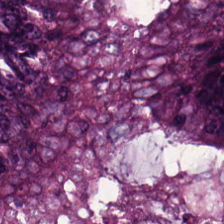224×224 px patch. Hematoxylin-and-eosin stained section. Whole-slide-image patch. Q: Classify this patch.
A: The field shows colorectal adenocarcinoma.
